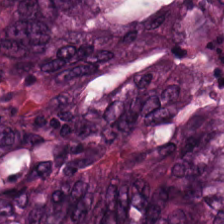Tissue — colorectal adenocarcinoma.
